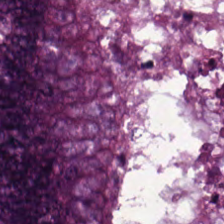H&E-stained section; the field shows colorectal adenocarcinoma.
